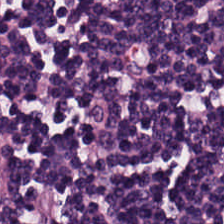H&E stain.
Tissue type = lymphoid infiltrate.
